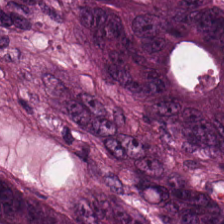H&E-stained tissue section — This patch shows adenocarcinoma.
